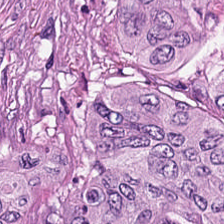Showing adenocarcinoma.
